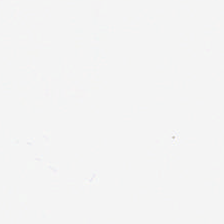H&E stain.
Finding — background.
